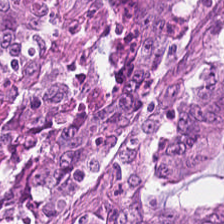FFPE tissue section. Hematoxylin-and-eosin stained section.
Impression — tumor epithelium.
